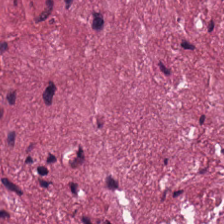H&E stain; FFPE — The classification is cancer-associated stroma.
